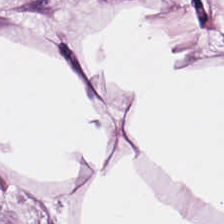Formalin-fixed paraffin-embedded section; 20× equivalent magnification; H&E stain.
The tissue here is adipose.
